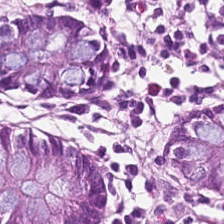Stain: H&E.
Tissue: benign colonic mucosa.
